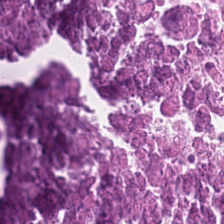H&E stain · FFPE tissue section. The predominant tissue is debris.
